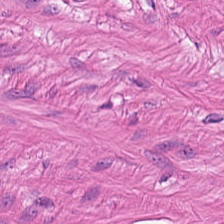H&E. Smooth muscle.
